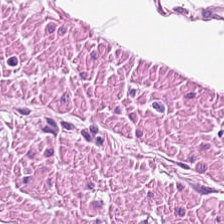Stain: H&E-stained tissue section.
Classification: muscularis.
